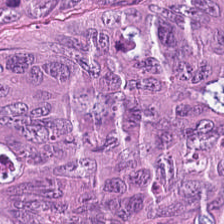H&E stain; 224×224 px patch.
The tissue here is malignant epithelium.
